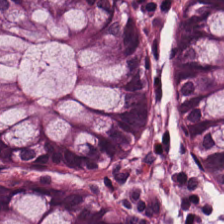Finding → non-neoplastic colon mucosa.
